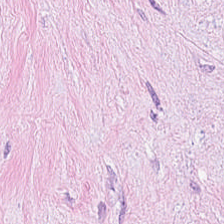224×224 px patch. H&E stain.
Classification: desmoplastic stroma.
